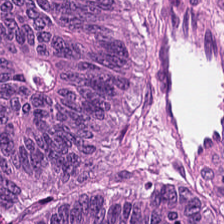Brightfield microscopy. H&E stain. Q: Classify this patch.
A: The field shows tumor epithelium.
